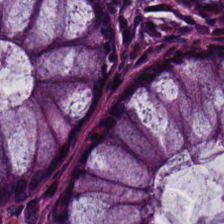Hematoxylin and eosin. Brightfield. Formalin-fixed paraffin-embedded section.
Tissue class — normal colonic mucosa.
